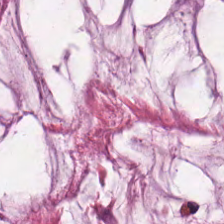H&E.
The predominant tissue is mucus.
